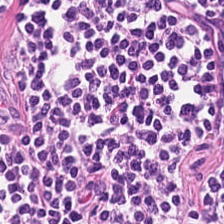H&E-stained tissue section. 224×224 px patch. The predominant tissue is lymphocyte aggregate.
